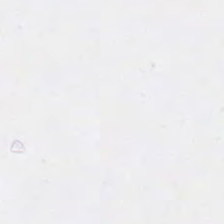H&E; 224×224 pixel tile.
Field content = empty background.
